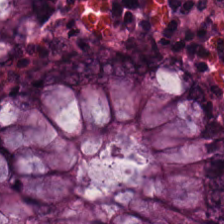Stain: H&E.
Classification: benign colonic mucosa.
